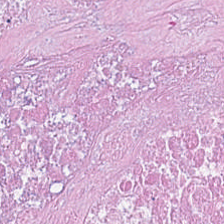Stain: hematoxylin-and-eosin stained section.
Classification: cellular debris.
